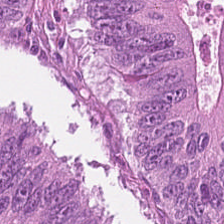0.5 microns per pixel; whole-slide-image patch; H&E stain — Predominantly malignant epithelium.
